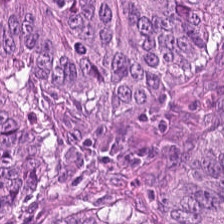Q: What type of tissue is this?
A: Adenocarcinoma.
